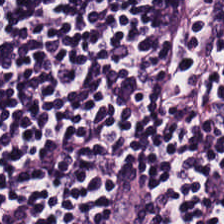Hematoxylin and eosin.
Finding — lymphocytes.
